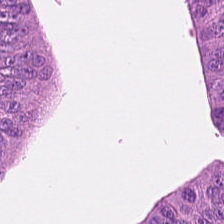Stain: H&E-stained tissue section.
Tile size: 224×224 px patch.
Tissue: malignant epithelium.
